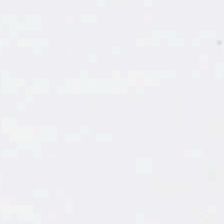Background — no tissue in this field.
